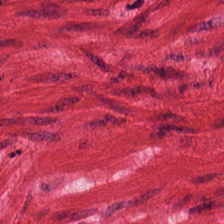H&E · brightfield microscopy · 0.5 µm per pixel. The classification is smooth muscle.
